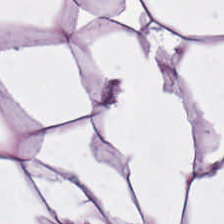{"tissue_type": "adipose"}
